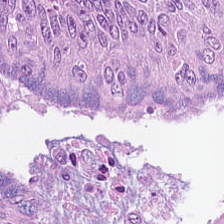Hematoxylin-and-eosin stained section. 0.5 µm per pixel — Tissue type: adenocarcinoma.
